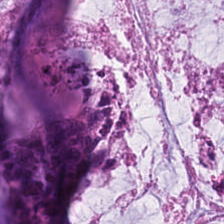H&E; 0.5 µm/px; 224×224 px patch. Predominantly mucus.
